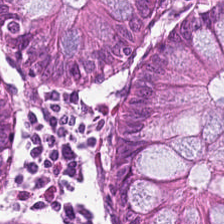224×224 px tile · hematoxylin-and-eosin stained section · 0.5 microns per pixel.
The predominant tissue is benign colonic mucosa.
